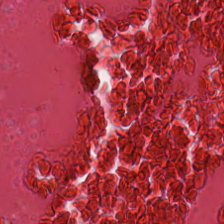H&E-stained tissue section · 224×224 pixel tile — Classification = cellular debris.
